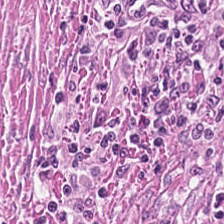The tissue type is cancer-associated stroma.
